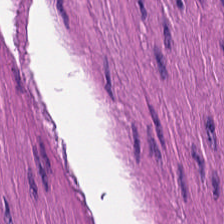Predominant tissue = smooth muscle.
